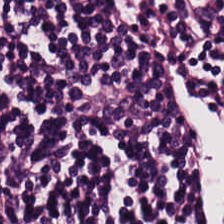0.5 µm/px. 224×224 px patch. H&E-stained tissue section. This patch shows lymphocytes.
